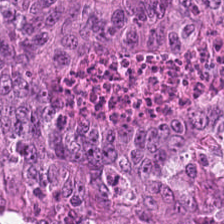Tissue class: tumor epithelium.
